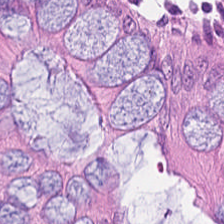224×224 pixel tile. Hematoxylin and eosin.
Tissue = benign colonic mucosa.
